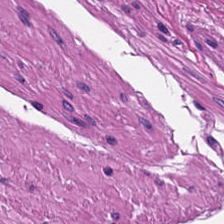224×224 px tile · whole-slide-image patch · hematoxylin and eosin — Classification — smooth-muscle tissue.
